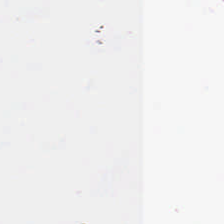H&E.
Field content: background (no tissue).
